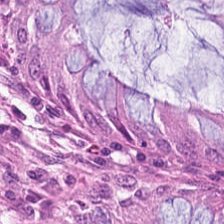Stain: hematoxylin and eosin.
Tissue: normal colon mucosa.
